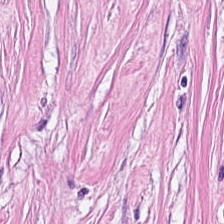Stain: H&E.
Tissue: tumor-associated stroma.
